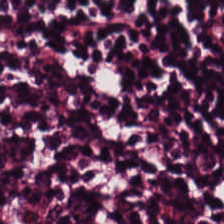H&E-stained tissue section.
Finding — lymphocytes.
